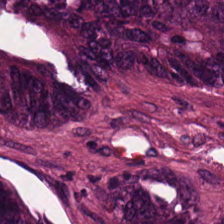Tissue: malignant epithelium.
